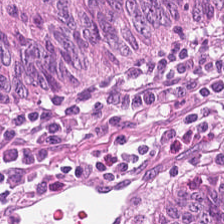Stain: H&E stain.
Tissue class: colorectal adenocarcinoma epithelium.
